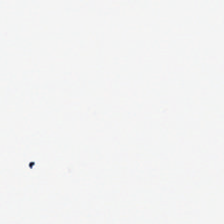Stain: H&E.
Resolution: 20× equivalent magnification.
Classification: background (no tissue).
